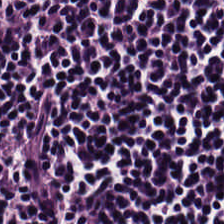The predominant tissue is lymphocyte aggregate.
